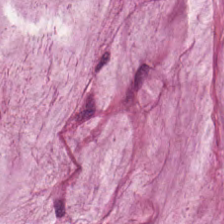Stain: hematoxylin-and-eosin stained section.
Resolution: 0.5 µm per pixel.
Preparation: FFPE tissue section.
Tissue: mucus.
